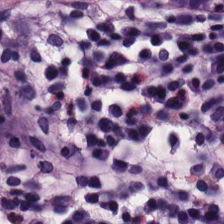Hematoxylin and eosin · formalin-fixed paraffin-embedded section — Tissue type: benign colonic mucosa.
